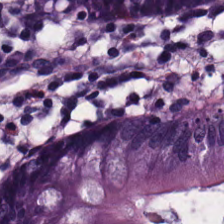Q: What tissue is shown?
A: Normal colonic mucosa.
